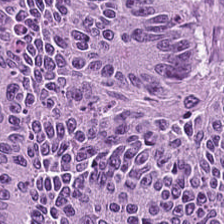Whole-slide-image patch; H&E stain; 224×224 px tile. The tissue here is malignant epithelium.
